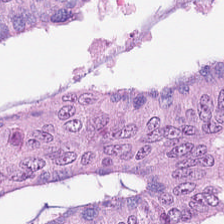Finding → tumor epithelium.
